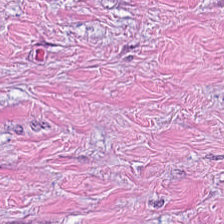H&E. Q: What is the predominant tissue type?
A: It is tumor stroma.
